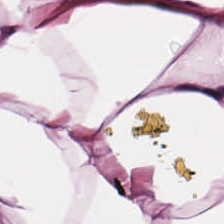Q: What is shown here?
A: It is adipose tissue.
